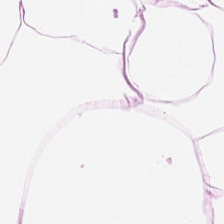Stain: H&E stain.
Tissue: adipocytes.
